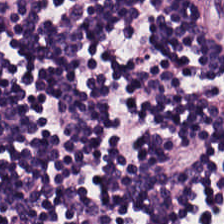H&E stain — The tissue here is lymphocytes.
